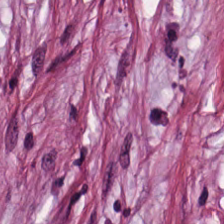Q: Classify this patch.
A: Tumor-associated stroma.
